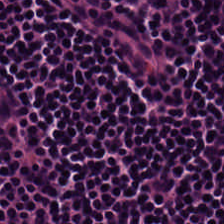H&E. Lymphoid infiltrate.
